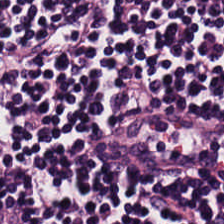Hematoxylin-and-eosin stained section — This patch shows lymphoid infiltrate.
